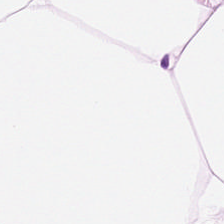0.5 µm per pixel; hematoxylin-and-eosin stained section.
The predominant tissue is adipose.
